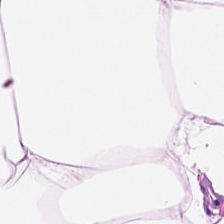FFPE; H&E stain.
Q: What is the predominant tissue type?
A: Fat tissue.
